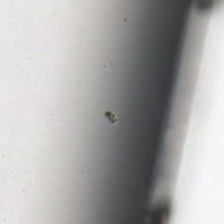H&E.
This patch shows background (no tissue).
